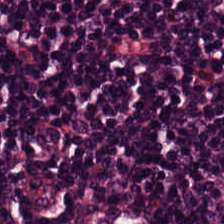20× equivalent magnification. Whole-slide-image patch. H&E-stained tissue section — The tissue here is lymphocyte aggregate.
